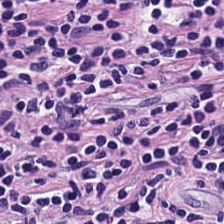Hematoxylin and eosin; whole-slide-image patch; 224×224 px tile. Tissue type = lymphocytic infiltrate.
